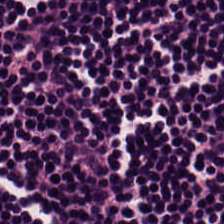Formalin-fixed paraffin-embedded section · hematoxylin-and-eosin stained section — Tissue type = lymphocyte aggregate.
